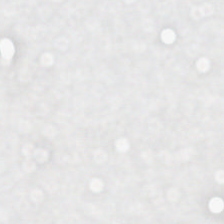Impression → background.
